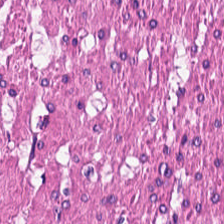The tissue class is smooth muscle.
